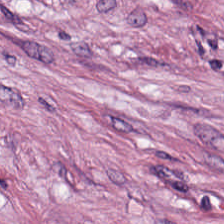Hematoxylin and eosin · 0.5 microns per pixel. This patch shows desmoplastic stroma.
